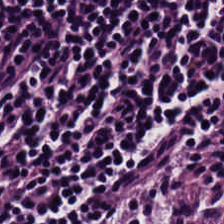H&E. 0.5 µm per pixel. Formalin-fixed paraffin-embedded section.
Predominant tissue — lymphocyte aggregate.
